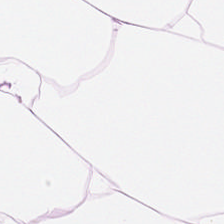WSI patch; FFPE tissue section; H&E — {"tissue_type": "adipocytes"}
